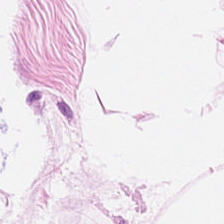H&E stain — Fat tissue.
